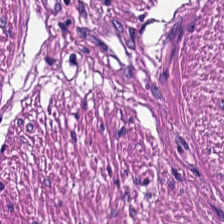WSI patch · hematoxylin-and-eosin stained section.
Showing smooth-muscle tissue.
